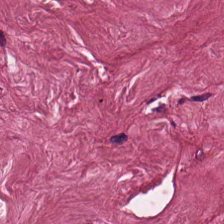H&E. Brightfield. 224×224 px tile.
{"tissue_type": "tumor stroma"}
